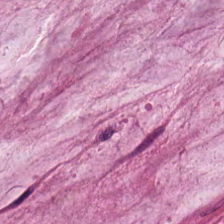FFPE · hematoxylin-and-eosin stained section — Q: What tissue type is shown here?
A: The field shows extracellular mucin.
